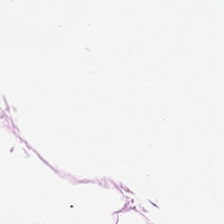Hematoxylin and eosin. Histology — adipose tissue.
